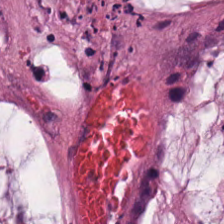Hematoxylin-and-eosin stained section — This field is extracellular mucin.
